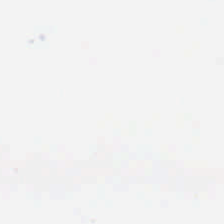H&E. This patch shows background (no tissue).
